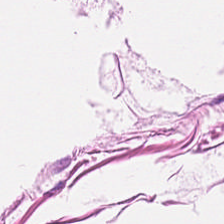Stain: H&E.
Tile size: 224×224 pixel tile.
Resolution: 0.5 µm per pixel.
Classification: muscularis.
